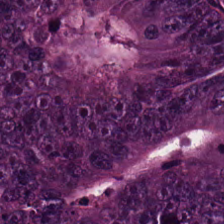Formalin-fixed paraffin-embedded section. 224×224 pixel tile. Hematoxylin-and-eosin stained section. Q: What does this patch show?
A: Adenocarcinoma.
